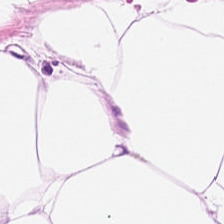0.5 µm per pixel · H&E-stained tissue section — The predominant tissue is adipose.
